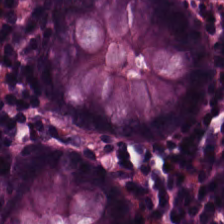Hematoxylin and eosin.
Histology → normal colon mucosa.
